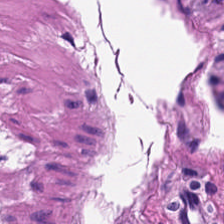H&E-stained tissue section. Q: What does this patch show?
A: It is muscularis.
